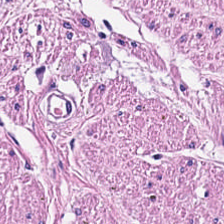Impression — smooth muscle.
